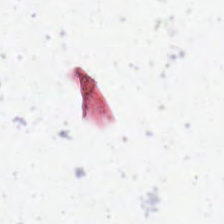Finding — background (no tissue).
